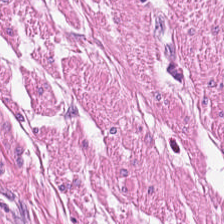Stain: H&E stain.
Predominant tissue: smooth-muscle tissue.
